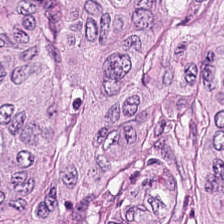H&E stain.
Q: What tissue type is shown here?
A: The field shows adenocarcinoma.
